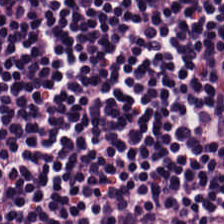Q: What is the predominant tissue type?
A: This is lymphocytes.
